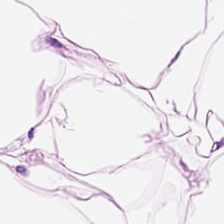FFPE tissue section; 224×224 px tile; hematoxylin-and-eosin stained section — Q: What tissue is shown?
A: This is adipocytes.
